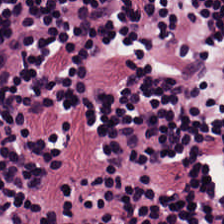Hematoxylin-and-eosin stained section. This patch shows lymphocyte aggregate.
